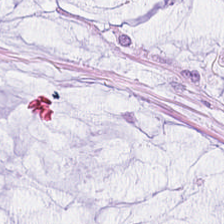Stain: hematoxylin-and-eosin stained section.
Tissue: extracellular mucin.
